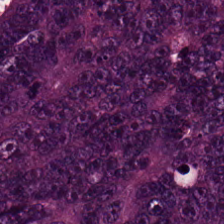H&E. Tumor epithelium.
